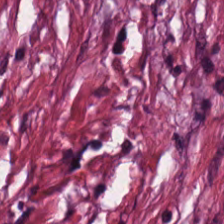224×224 pixel tile. H&E stain. Q: What type of tissue is this?
A: Desmoplastic stroma.
